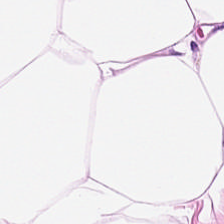0.5 µm per pixel; H&E stain; FFPE. {"tissue_type": "adipose tissue"}
